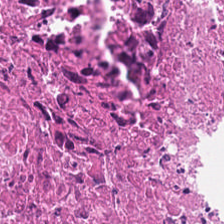Hematoxylin-and-eosin stained section.
The predominant tissue is necrotic debris.
